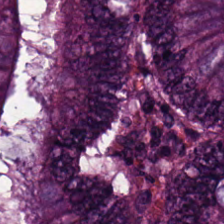H&E-stained section; the field shows colorectal adenocarcinoma epithelium.
